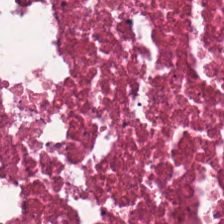Q: What type of tissue is this?
A: Debris.
